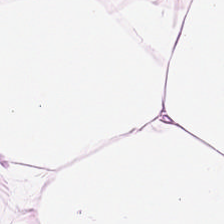Hematoxylin-and-eosin stained section. Q: What is the predominant tissue type?
A: The field shows adipose.
